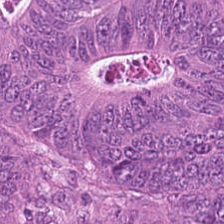Stain: H&E.
Tissue type: colorectal adenocarcinoma epithelium.
